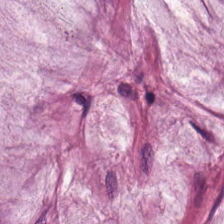H&E. Tissue type = mucus.
